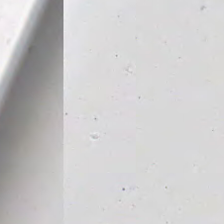Hematoxylin and eosin — The field content is background (no tissue).
